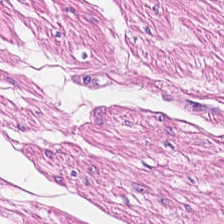H&E-stained tissue section.
This field is smooth muscle.
